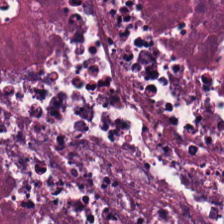H&E stain.
This field is debris.
